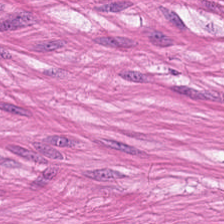Stain: H&E-stained tissue section.
Classification: muscularis.
